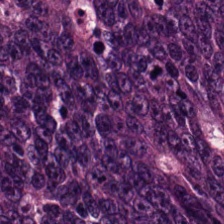FFPE tissue section. Hematoxylin and eosin. Whole-slide-image patch. This field is adenocarcinoma.
